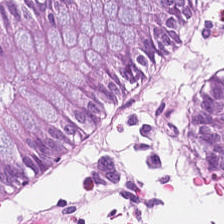Hematoxylin and eosin. 224×224 px patch. Brightfield microscopy — Impression → non-neoplastic colon mucosa.
